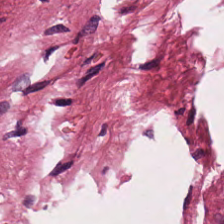H&E.
Histology — cancer-associated stroma.
